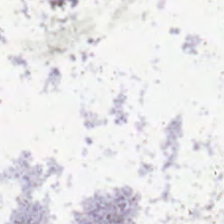H&E-stained tissue section. 0.5 µm per pixel. Finding — empty background.
